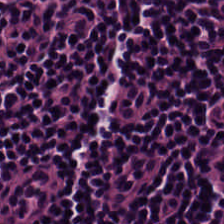H&E-stained tissue section.
Q: What is the predominant tissue type?
A: Lymphocytic infiltrate.
